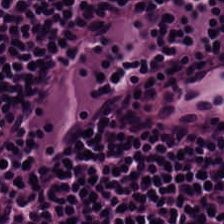H&E — Finding → lymphocyte aggregate.
